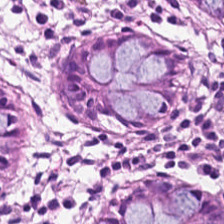Q: Classify this patch.
A: Normal colon mucosa.
